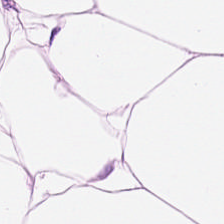Hematoxylin-and-eosin stained section — The predominant tissue is adipocytes.
